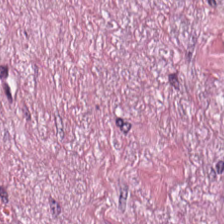Tissue — desmoplastic stroma.
